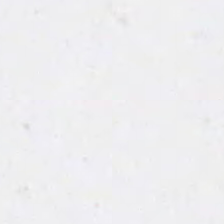Empty field — no tissue.
